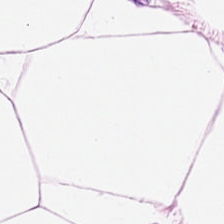Stain: H&E.
Resolution: 0.5 microns per pixel.
Tissue: adipose tissue.
